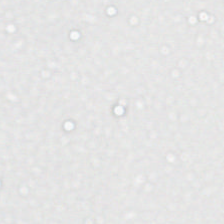No tissue present; background only.
